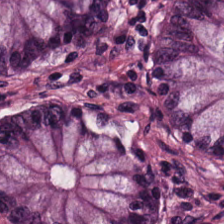H&E-stained tissue section · whole-slide-image patch — The predominant tissue is non-neoplastic colon mucosa.
